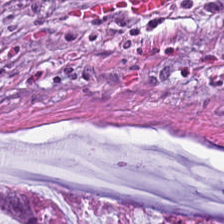Whole-slide-image patch; hematoxylin and eosin — The tissue class is mucin.
